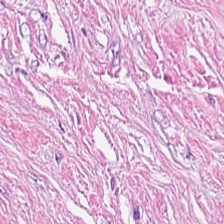FFPE. Hematoxylin and eosin. The tissue type is desmoplastic stroma.
